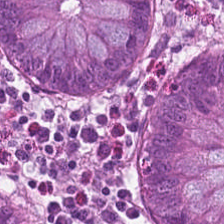Hematoxylin and eosin.
Classification = normal colonic mucosa.
